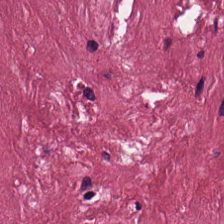Hematoxylin and eosin — Histology — desmoplastic stroma.
